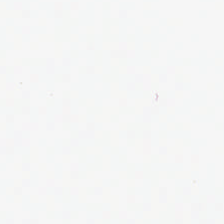Stain: H&E.
Classification: background.
